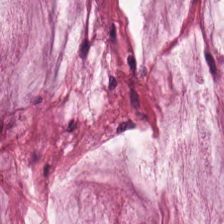The predominant tissue is mucin.
